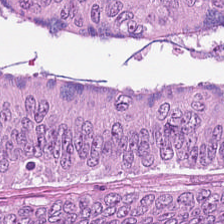Hematoxylin-and-eosin stained section. Brightfield microscopy.
Q: Identify the tissue.
A: The field shows colorectal adenocarcinoma.
